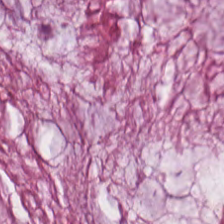Predominant tissue — mucus.
